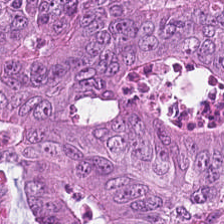Classification — malignant epithelium.
